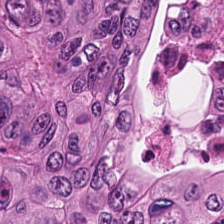Hematoxylin and eosin.
Histology — colorectal adenocarcinoma.
